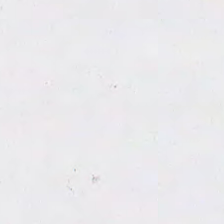Hematoxylin and eosin; FFPE — Empty field — no tissue.
